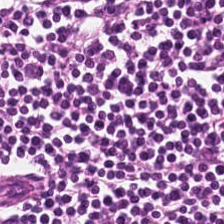Hematoxylin and eosin. This field is lymphocytes.
